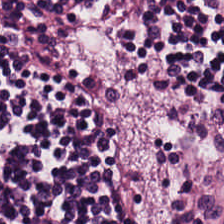FFPE tissue section. H&E stain.
Tissue type = lymphocytes.
